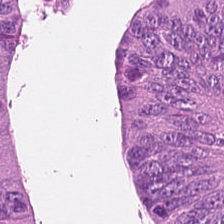H&E-stained tissue section.
Tissue — adenocarcinoma.
